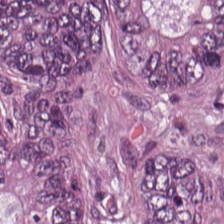H&E-stained tissue section; FFPE; 224×224 pixel tile.
The tissue here is adenocarcinoma.
